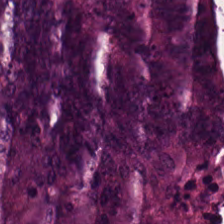H&E stain.
Q: What tissue is shown?
A: This is tumor epithelium.
